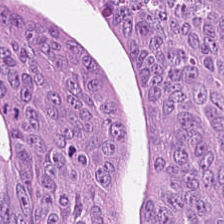20× equivalent magnification; 224×224 px tile; H&E stain — Q: Classify this patch.
A: It is tumor epithelium.
